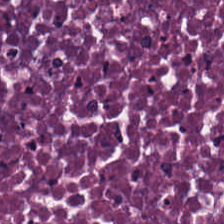The predominant tissue is necrotic debris.
